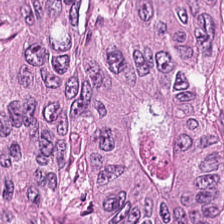H&E — Tissue = adenocarcinoma.
